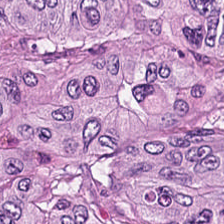H&E — tumor epithelium.
